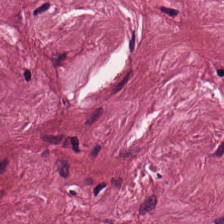Stain: hematoxylin and eosin.
Classification: tumor-associated stroma.
